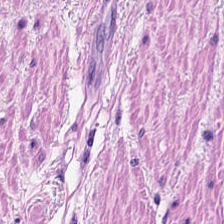H&E; 224×224 pixel tile.
The classification is smooth muscle.
